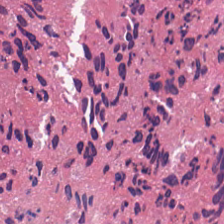FFPE tissue section · hematoxylin and eosin — Q: What is shown here?
A: Necrotic debris.
